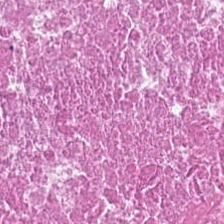Formalin-fixed paraffin-embedded section. Hematoxylin-and-eosin stained section.
This field is necrotic debris.
